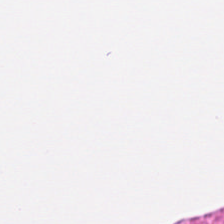This patch shows smooth-muscle tissue.
